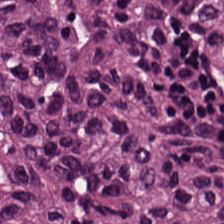H&E-stained tissue section. Q: What is shown in this field?
A: Colorectal adenocarcinoma.
